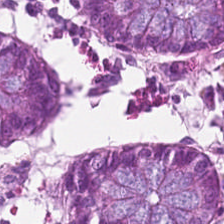20× equivalent magnification · H&E stain.
Impression → normal colon mucosa.
